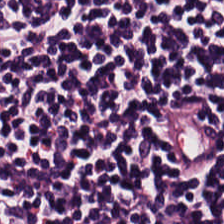H&E-stained tissue section.
This patch shows lymphoid infiltrate.
